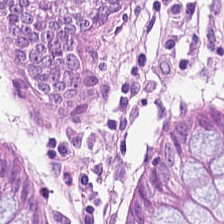H&E-stained tissue section.
This field is benign colonic mucosa.
